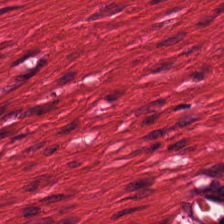Q: What tissue is shown?
A: The field shows muscularis.
